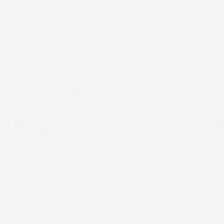0.5 µm per pixel. Hematoxylin-and-eosin stained section — Background — no tissue in this field.
